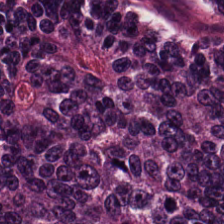H&E stain; 224×224 px patch; brightfield microscopy — Impression — colorectal adenocarcinoma.
